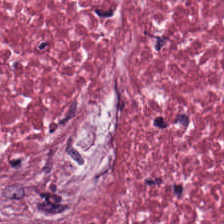H&E-stained tissue section — This field is cancer-associated stroma.
